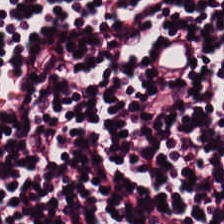224×224 px patch · hematoxylin-and-eosin stained section. Tissue class = lymphocyte aggregate.
